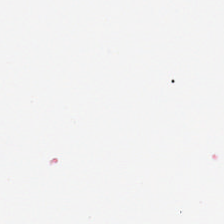Hematoxylin and eosin · 0.5 microns per pixel — Field content = empty background.
